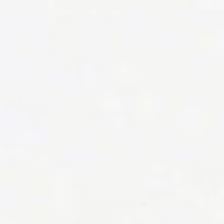FFPE tissue section · hematoxylin-and-eosin stained section · WSI patch.
This field is background (no tissue).
